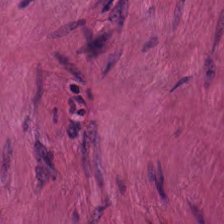H&E-stained tissue section. 224×224 px tile — The tissue class is muscularis.
